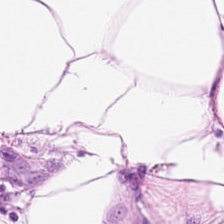Stain: H&E.
Predominant tissue: adipose.
